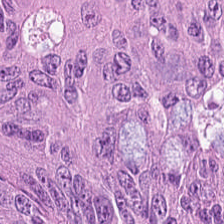H&E stain; 0.5 µm per pixel — Q: What does this patch show?
A: It is tumor epithelium.
